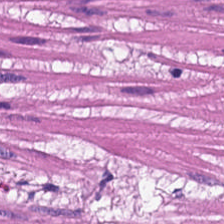Stain: H&E.
Preparation: formalin-fixed paraffin-embedded section.
Tissue: smooth-muscle tissue.
